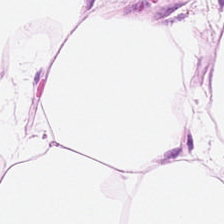H&E stain; brightfield microscopy — Predominantly fat tissue.
